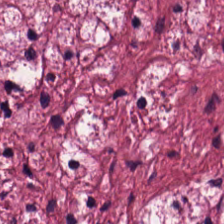H&E-stained tissue section · FFPE · WSI patch.
Q: What is shown in this field?
A: The field shows cancer-associated stroma.
